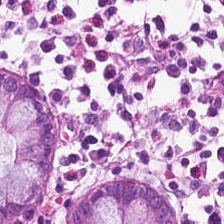Stain: H&E.
Tile size: 224×224 px tile.
Tissue class: benign colonic mucosa.
